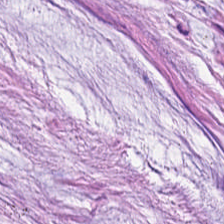H&E-stained tissue section.
Histology → extracellular mucin.
